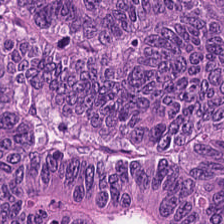H&E-stained tissue section — Showing malignant epithelium.
